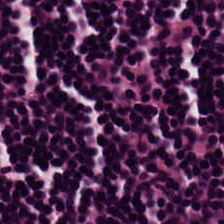Hematoxylin and eosin — The tissue here is lymphocytic infiltrate.
